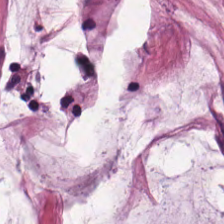Hematoxylin and eosin. Q: What type of tissue is this?
A: This is extracellular mucin.
